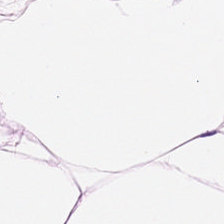224×224 px patch · H&E — The tissue here is adipocytes.
